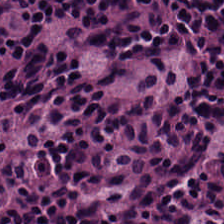Stain: H&E-stained tissue section.
Predominant tissue: lymphoid infiltrate.
